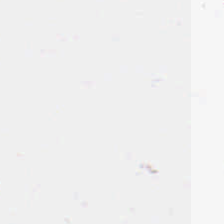Stain: hematoxylin and eosin.
Field content: background.
